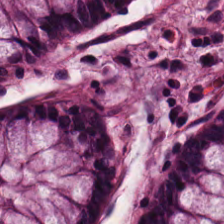This field is benign colonic mucosa.
